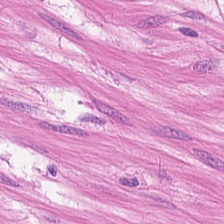The tissue here is smooth muscle.
